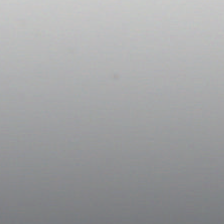Background — no tissue in this field.
